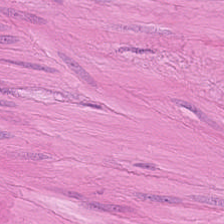Hematoxylin-and-eosin stained section — Predominant tissue = muscularis.
